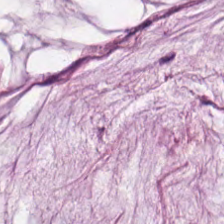H&E stain.
Impression — mucin.
